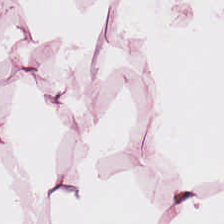Tissue = fat tissue.
